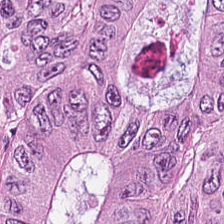Stain: H&E.
Classification: colorectal adenocarcinoma epithelium.
